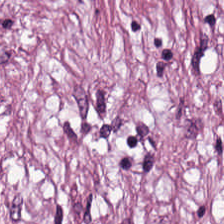The tissue is desmoplastic stroma.
